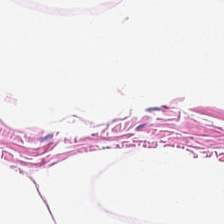FFPE; hematoxylin and eosin — Predominantly adipocytes.
